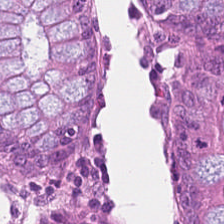Stain: H&E-stained tissue section.
Tissue class: normal colon mucosa.
